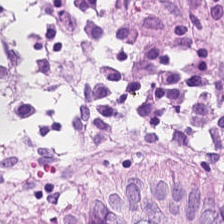H&E stain. This patch shows non-neoplastic colon mucosa.
